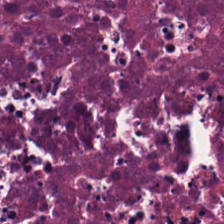H&E · WSI patch. Tissue type: cellular debris.
